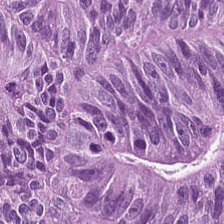Hematoxylin and eosin. The tissue type is adenocarcinoma.
